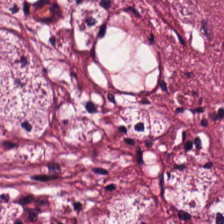Q: What is the predominant tissue type?
A: The field shows tumor stroma.
